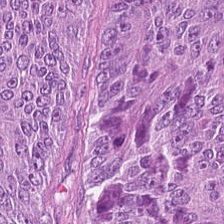Hematoxylin and eosin.
Predominant tissue: colorectal adenocarcinoma epithelium.
